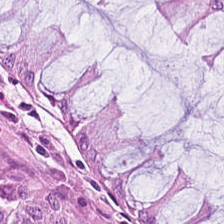H&E · FFPE — Showing benign colonic mucosa.
